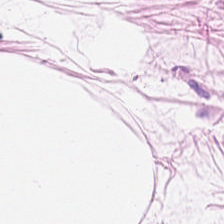Whole-slide-image patch; hematoxylin-and-eosin stained section.
Q: What tissue is shown?
A: It is adipose tissue.
